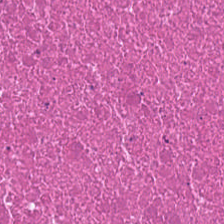Hematoxylin-and-eosin stained section · 224×224 pixel tile. Impression — necrotic debris.
